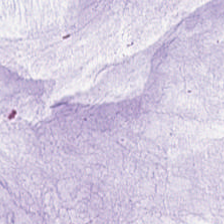FFPE tissue section · H&E-stained tissue section. This field is mucin.
